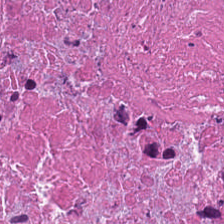Stain: hematoxylin-and-eosin stained section.
Resolution: 20× equivalent magnification.
Tile size: 224×224 pixel tile.
Classification: cellular debris.
